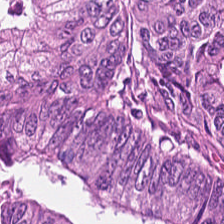H&E. Predominant tissue — tumor epithelium.
